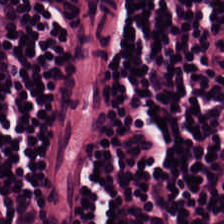FFPE tissue section. 0.5 µm per pixel. H&E — Finding — lymphoid infiltrate.
